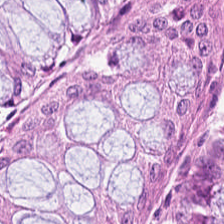H&E-stained tissue section; 224×224 pixel tile — Predominant tissue — normal colonic mucosa.
